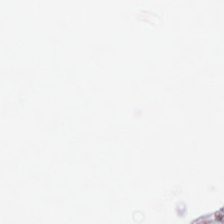Q: What is shown in this field?
A: It is background (no tissue).
